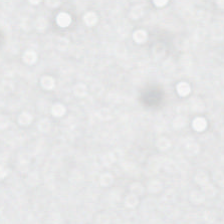Stain: hematoxylin and eosin.
Acquisition: brightfield.
Resolution: 0.5 µm per pixel.
Classification: empty background.
